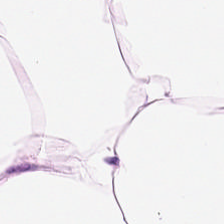H&E. Q: Classify this patch.
A: This is adipose.
